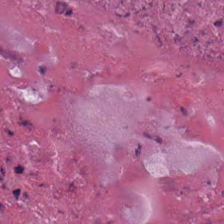Hematoxylin-and-eosin stained section; brightfield — This patch shows necrotic debris.
